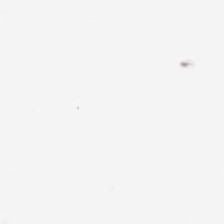Hematoxylin-and-eosin stained section. Q: What does this patch show?
A: Background (no tissue).
